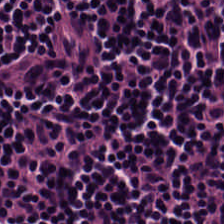Q: What type of tissue is this?
A: It is lymphocyte aggregate.
